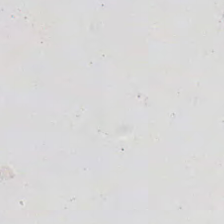H&E-stained tissue section. Field content: empty background.
